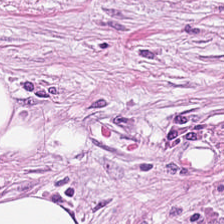H&E stain.
{"tissue_type": "desmoplastic stroma"}
